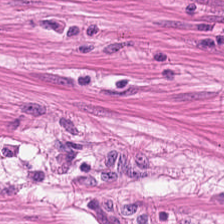H&E stain · 0.5 microns per pixel · 224×224 pixel tile — {"tissue_type": "smooth muscle"}
